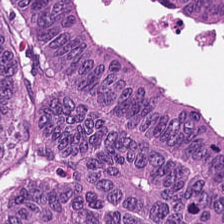Stain: H&E-stained tissue section.
Tissue: adenocarcinoma.
